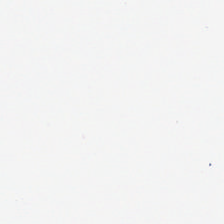Finding → background.
